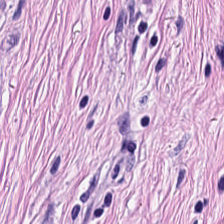H&E; FFPE tissue section. Histology — tumor-associated stroma.
